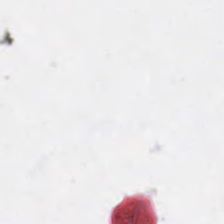H&E · brightfield microscopy — This field is background (no tissue).
